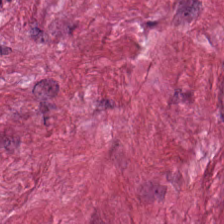H&E-stained tissue section showing tumor-associated stroma.
